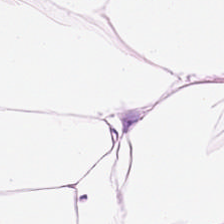Hematoxylin-and-eosin stained section. Impression → adipose tissue.
